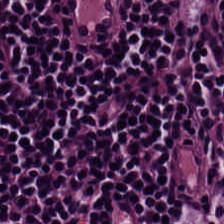H&E stain; whole-slide-image patch; 20× equivalent magnification — The predominant tissue is lymphoid infiltrate.
